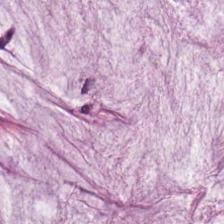H&E stain — Q: What type of tissue is this?
A: The field shows mucin.
